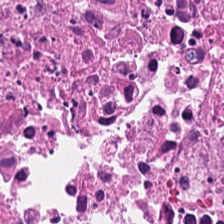H&E stain. Classification — necrotic debris.
